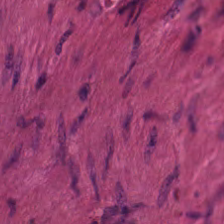Hematoxylin and eosin — The tissue here is muscularis.
